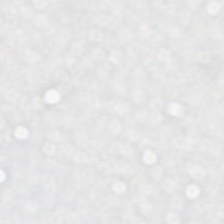Stain: hematoxylin and eosin.
Tile size: 224×224 pixel tile.
Classification: no tissue.
